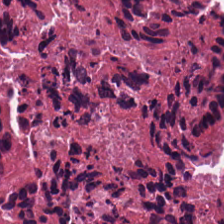H&E-stained tissue section.
Q: What is shown here?
A: Debris.
